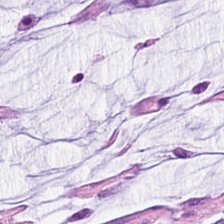Q: Identify the tissue.
A: Extracellular mucin.
